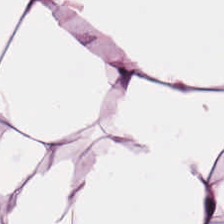20× equivalent magnification · hematoxylin and eosin. Tissue: adipose tissue.
